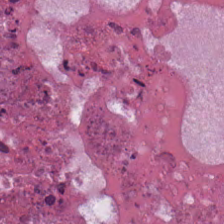224×224 px tile. Hematoxylin and eosin. Impression → necrotic debris.
